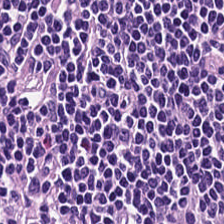H&E stain. Histology → lymphocyte aggregate.
